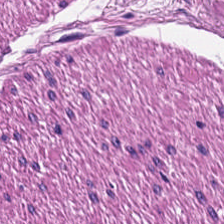Stain: hematoxylin and eosin.
Tissue type: smooth-muscle tissue.
